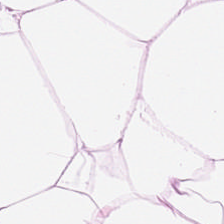H&E. This field is fat tissue.
